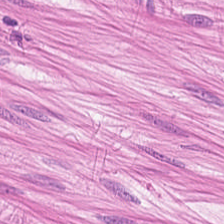Hematoxylin-and-eosin section: smooth-muscle tissue.
